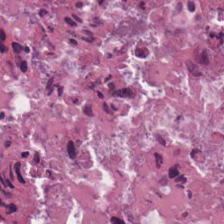Hematoxylin-and-eosin stained section · FFPE tissue section · whole-slide-image patch.
Cellular debris.
